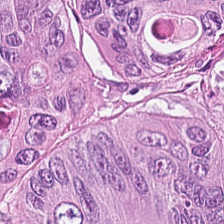H&E. 224×224 pixel tile.
Predominant tissue = colorectal adenocarcinoma.
